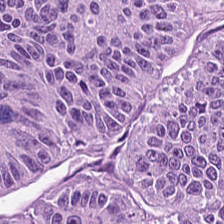Hematoxylin-and-eosin stained section — Q: Classify this patch.
A: It is adenocarcinoma.
